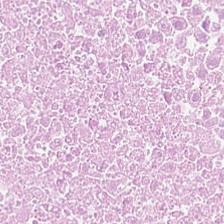Formalin-fixed paraffin-embedded section; H&E stain — The tissue here is debris.
